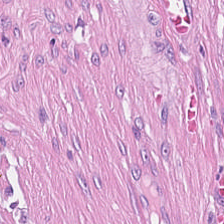Hematoxylin-and-eosin stained section. The tissue is desmoplastic stroma.
